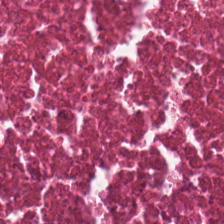Impression — cellular debris.
